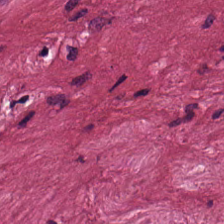Stain: hematoxylin and eosin.
Tissue: tumor stroma.
